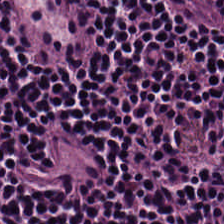FFPE tissue section. H&E-stained tissue section. 0.5 microns per pixel. The predominant tissue is lymphoid infiltrate.
